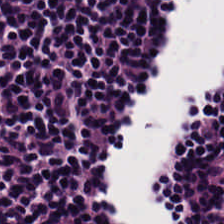Hematoxylin-and-eosin stained section · 20× equivalent magnification · 224×224 px patch — Showing lymphocyte aggregate.
